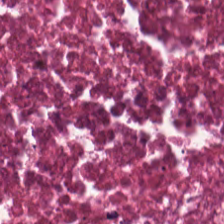H&E stain. 224×224 pixel tile. This patch shows necrotic debris.
